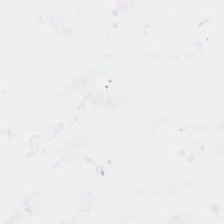H&E — Background.
